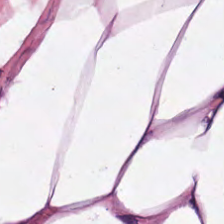H&E — Predominantly fat tissue.
